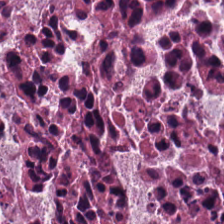Hematoxylin and eosin. This patch shows debris.
